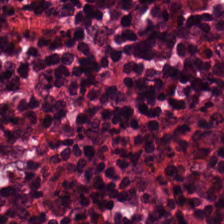The tissue type is non-neoplastic colon mucosa.
